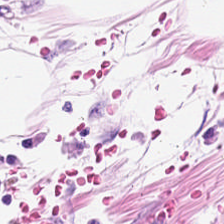H&E stain — Fat tissue.
